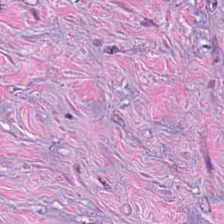FFPE tissue section · H&E-stained tissue section. Tumor stroma.
